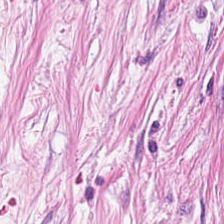Hematoxylin-and-eosin stained section.
Histology → tumor-associated stroma.
